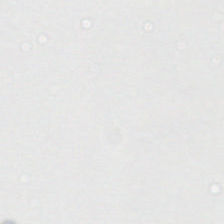H&E-stained tissue section. Q: What does this patch show?
A: The field shows background.
